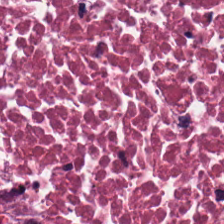H&E-stained tissue section — The tissue here is debris.
